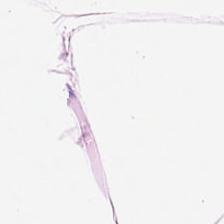Stain: H&E.
Acquisition: whole-slide-image patch.
Classification: fat tissue.
